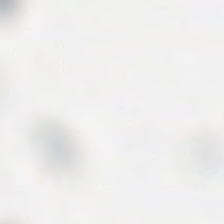Hematoxylin-and-eosin stained section.
Content: no tissue.
